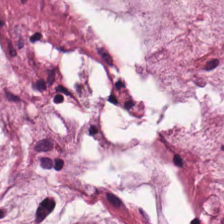Hematoxylin and eosin — Q: What is shown here?
A: It is mucin.
